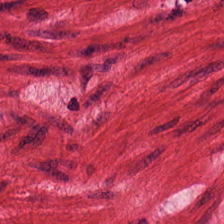H&E stain. Predominantly smooth-muscle tissue.
